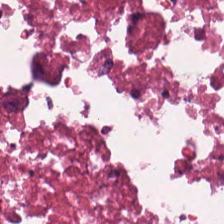Hematoxylin-and-eosin stained section — Tissue class = debris.
